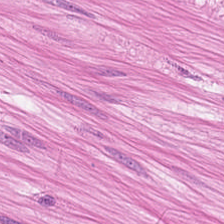The predominant tissue is muscularis.
